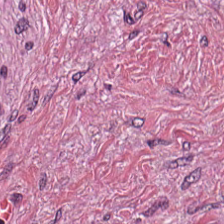H&E-stained tissue section. 224×224 px patch. Tissue type: tumor-associated stroma.
